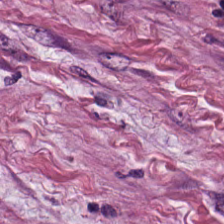Tissue type: desmoplastic stroma.
